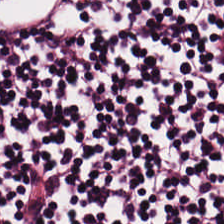The tissue type is lymphoid infiltrate.
